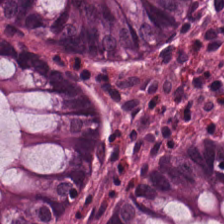Stain: hematoxylin and eosin.
Preparation: FFPE tissue section.
Tissue: non-neoplastic colon mucosa.
